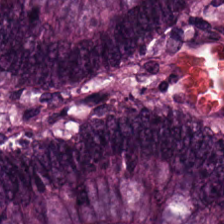Hematoxylin and eosin — Q: What tissue is shown?
A: This is tumor epithelium.
